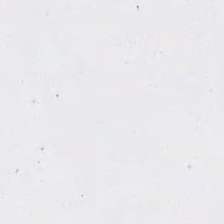0.5 microns per pixel · WSI patch · hematoxylin and eosin — Field content: background.
